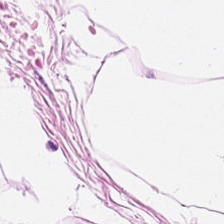{"tissue_type": "fat tissue"}
